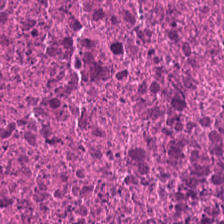Hematoxylin-and-eosin stained section. Q: What is shown in this field?
A: It is cellular debris.
